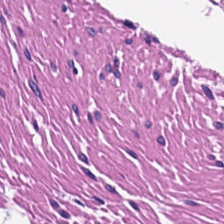H&E-stained tissue section.
Q: Identify the tissue.
A: Smooth muscle.
